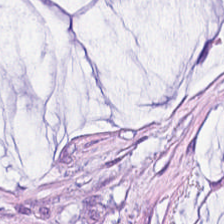H&E-stained tissue section.
Tissue type: mucus.
